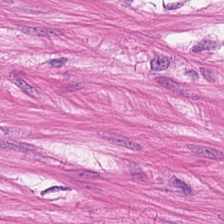Q: What is the predominant tissue type?
A: It is smooth-muscle tissue.
